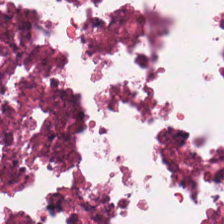Histology — necrotic debris.
